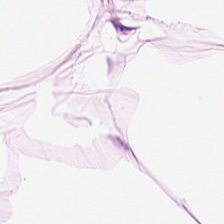H&E. 20× equivalent magnification — The tissue is adipose tissue.
